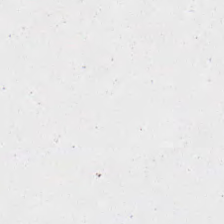H&E. Background — no tissue in this field.
